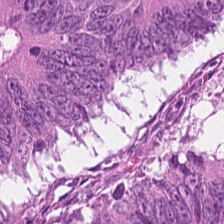Stain: H&E-stained tissue section.
Tissue class: adenocarcinoma.
